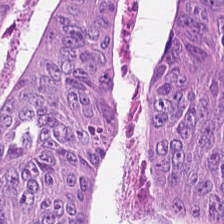WSI patch. FFPE tissue section. H&E stain. Q: What is the predominant tissue type?
A: This is colorectal adenocarcinoma.
